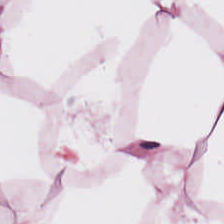H&E · brightfield — Q: What tissue is shown?
A: This is adipose.
